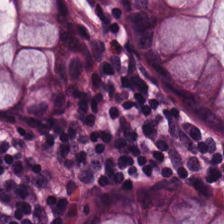Hematoxylin-and-eosin stained section — Finding — benign colonic mucosa.
